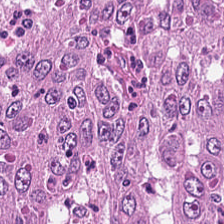Hematoxylin and eosin — Q: Identify the tissue.
A: It is colorectal adenocarcinoma.
